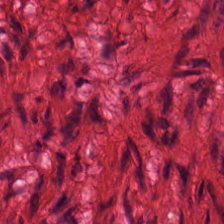H&E stain. Q: What type of tissue is this?
A: The field shows smooth muscle.
